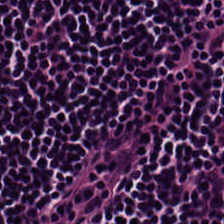Brightfield microscopy · H&E-stained tissue section · FFPE.
Finding — lymphocytic infiltrate.
